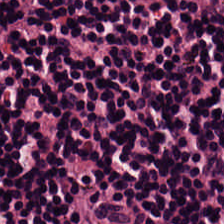Hematoxylin and eosin — The predominant tissue is lymphocyte aggregate.
